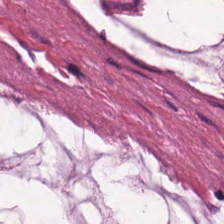Hematoxylin and eosin — The predominant tissue is mucin.
